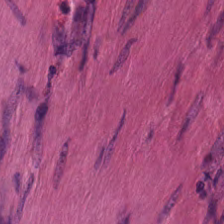Q: Classify this patch.
A: The field shows smooth muscle.
